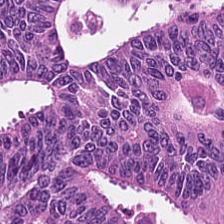WSI patch; formalin-fixed paraffin-embedded section; hematoxylin-and-eosin stained section. Tissue type = colorectal adenocarcinoma epithelium.
